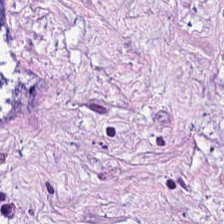Hematoxylin and eosin; FFPE tissue section. Impression → tumor-associated stroma.
